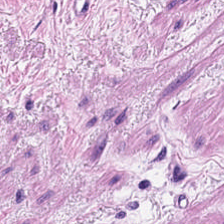Hematoxylin-and-eosin section: muscularis.
